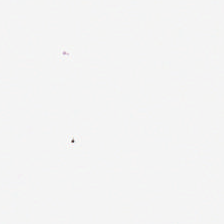The classification is no tissue.
